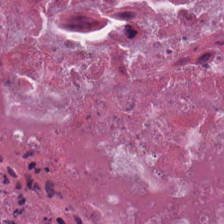H&E-stained tissue section — The tissue is debris.
